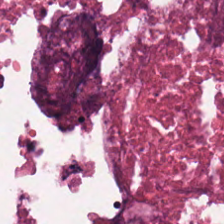Tissue type = debris.
